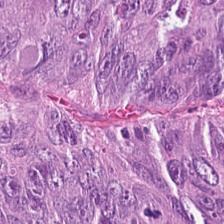H&E stain. Formalin-fixed paraffin-embedded section.
Showing colorectal adenocarcinoma.
